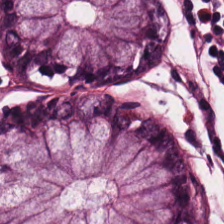H&E. Predominant tissue: normal colon mucosa.
